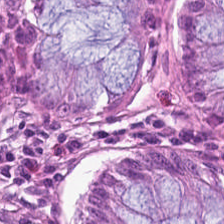H&E stain — Showing non-neoplastic colon mucosa.
